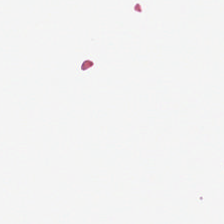Stain: H&E stain.
Content: background.
